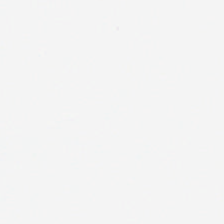H&E stain — Q: What does this patch show?
A: This is empty background.
